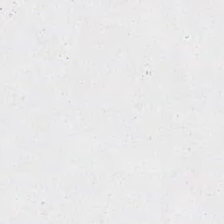H&E stain — Finding — background.
